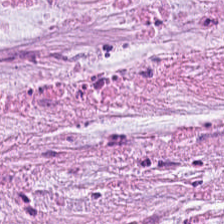Tissue class = mucus.
